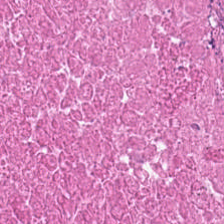Showing necrotic debris.
